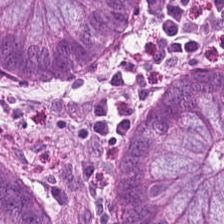Hematoxylin and eosin.
Showing normal colonic mucosa.
